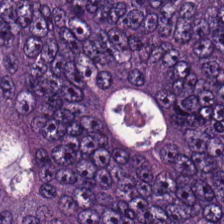{"tissue_type": "colorectal adenocarcinoma"}
